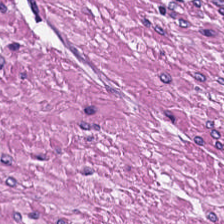H&E stain. 224×224 px patch.
Predominantly smooth muscle.
